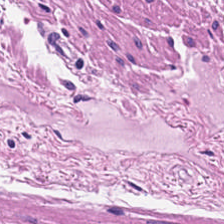The tissue is muscularis.
